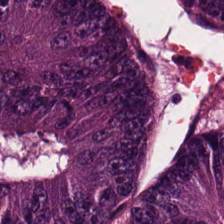Hematoxylin and eosin. Impression — colorectal adenocarcinoma.
